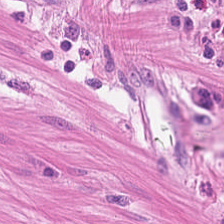0.5 µm/px; FFPE; H&E stain. Q: What type of tissue is this?
A: The field shows muscularis.
